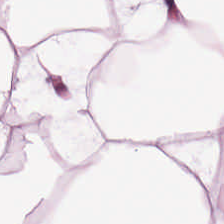Formalin-fixed paraffin-embedded section · H&E stain. Impression — adipocytes.
